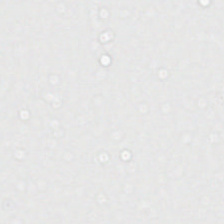H&E-stained tissue section; 224×224 px patch; brightfield.
Empty field — background.
